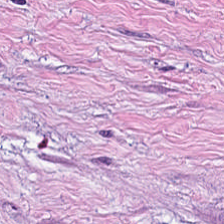The predominant tissue is cancer-associated stroma.
